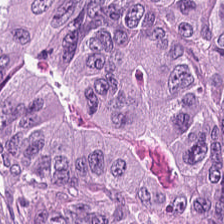H&E — Predominantly colorectal adenocarcinoma epithelium.
